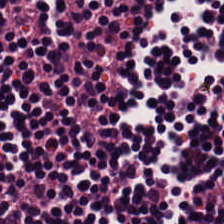{"tissue_type": "lymphocytes"}
